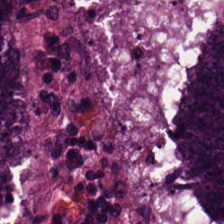Brightfield microscopy · 224×224 px tile · hematoxylin-and-eosin stained section — Predominant tissue — colorectal adenocarcinoma epithelium.
